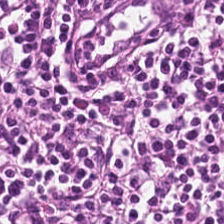Hematoxylin and eosin.
Impression → lymphocyte aggregate.
